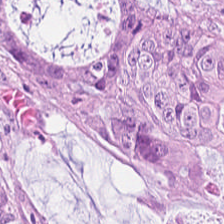H&E stain.
Showing tumor epithelium.
